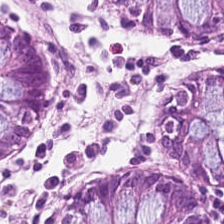Tissue = normal colonic mucosa.
